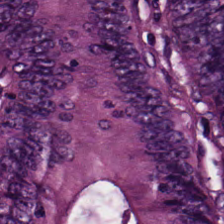FFPE. 0.5 µm per pixel. Hematoxylin-and-eosin stained section. This field is tumor epithelium.
